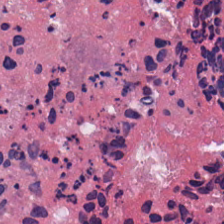H&E-stained tissue section; brightfield. Finding → debris.
